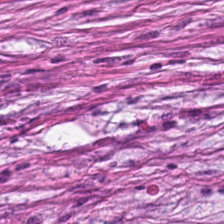Q: Classify this patch.
A: It is tumor-associated stroma.
